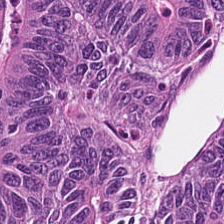Classification — colorectal adenocarcinoma epithelium.
